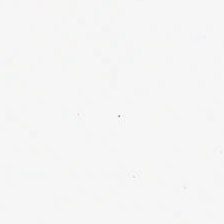Background — no tissue in this field.
